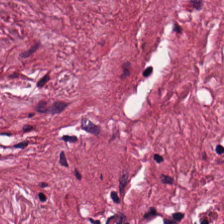H&E stain. FFPE. 20× equivalent magnification — Predominantly tumor-associated stroma.
